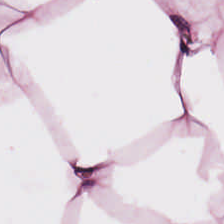H&E stain.
The tissue here is adipocytes.
